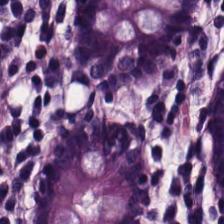FFPE tissue section. 20× equivalent magnification. Hematoxylin and eosin. This patch shows benign colonic mucosa.
